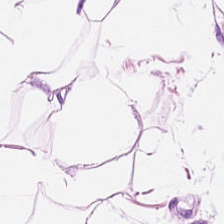Stain: H&E stain.
Predominant tissue: adipocytes.
